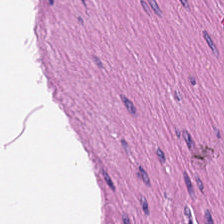H&E stain. 224×224 pixel tile.
Tissue class = smooth muscle.
